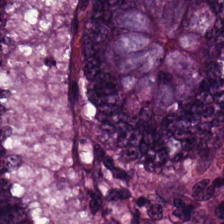Tissue type: colorectal adenocarcinoma epithelium.
